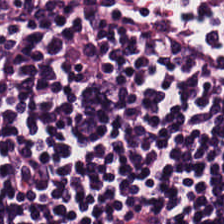Lymphocyte aggregate.
